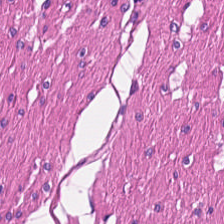H&E stain — Q: What does this patch show?
A: It is smooth muscle.
